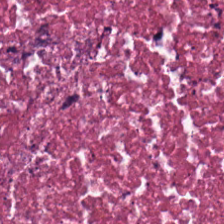This patch shows cellular debris.
